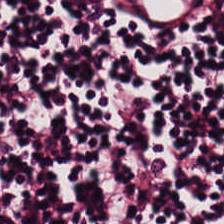Brightfield. FFPE tissue section. Hematoxylin and eosin — Histology → lymphocyte aggregate.
